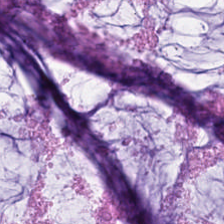Hematoxylin and eosin. This field is mucin.
